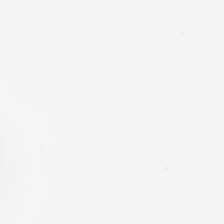Hematoxylin and eosin.
Q: What does this patch show?
A: It is background (no tissue).
